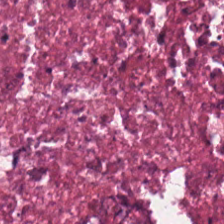H&E-stained tissue section. 224×224 px patch. 0.5 microns per pixel. {"tissue_type": "debris"}
